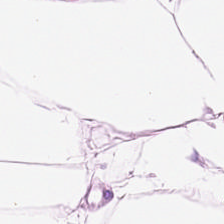Stain: hematoxylin and eosin.
Resolution: 20× equivalent magnification.
Tissue: adipose tissue.
